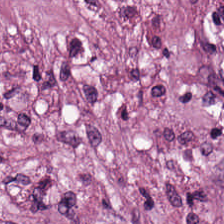H&E · 224×224 pixel tile. Q: Identify the tissue.
A: This is tumor-associated stroma.
